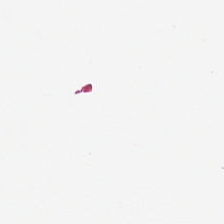Empty background.
